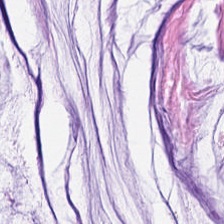Hematoxylin and eosin.
This patch shows extracellular mucin.
